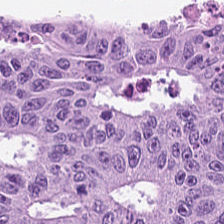WSI patch; H&E-stained tissue section. This patch shows colorectal adenocarcinoma epithelium.
